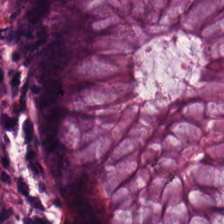H&E-stained tissue section — Non-neoplastic colon mucosa.
